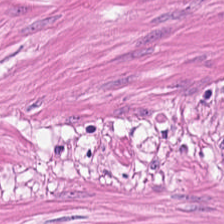Tissue class — smooth muscle.
